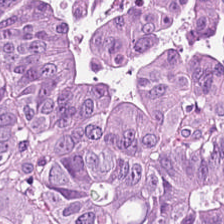H&E-stained tissue section.
The tissue type is adenocarcinoma.
